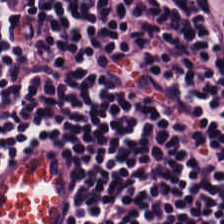H&E stain — Classification = lymphocytic infiltrate.
